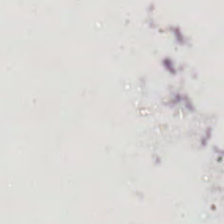H&E stain. Field content — background.
